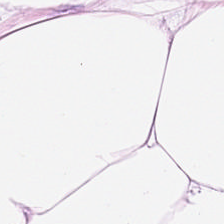Tissue class: fat tissue.
